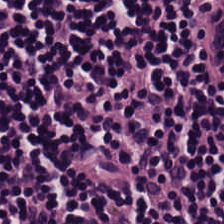FFPE. Hematoxylin-and-eosin stained section.
The tissue here is lymphocytes.
